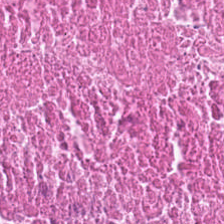224×224 px tile. H&E-stained tissue section. FFPE tissue section — Q: What is the predominant tissue type?
A: This is cellular debris.
